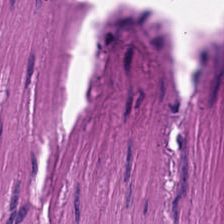H&E stain · 224×224 px tile · 0.5 µm per pixel — {"tissue_type": "smooth-muscle tissue"}
